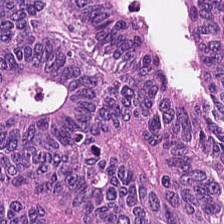Hematoxylin-and-eosin stained section; 224×224 pixel tile; formalin-fixed paraffin-embedded section. Q: Classify this patch.
A: Colorectal adenocarcinoma.
